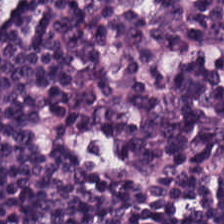Tissue = lymphoid infiltrate.
